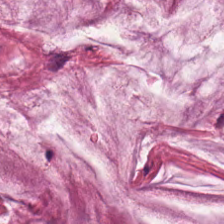Hematoxylin-and-eosin stained section — Q: Classify this patch.
A: Extracellular mucin.
